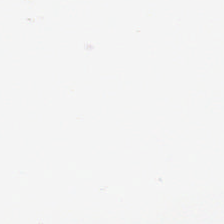Stain: H&E-stained tissue section.
Classification: background.
